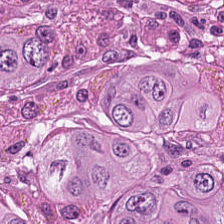Hematoxylin and eosin.
Showing colorectal adenocarcinoma epithelium.
